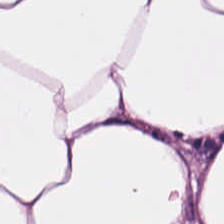0.5 µm/px · hematoxylin-and-eosin stained section · formalin-fixed paraffin-embedded section — This patch shows adipose.
